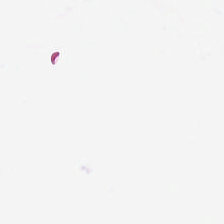The content is background (no tissue).
